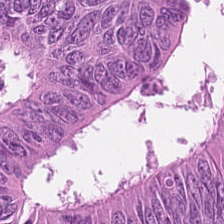H&E-stained tissue section.
The tissue here is malignant epithelium.
